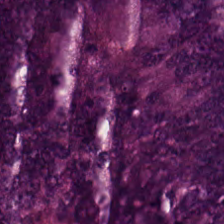0.5 µm/px. Hematoxylin and eosin. Impression → colorectal adenocarcinoma epithelium.
